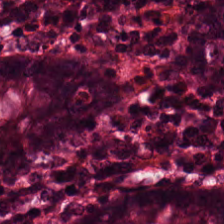H&E-stained tissue section. {"tissue_type": "non-neoplastic colon mucosa"}
